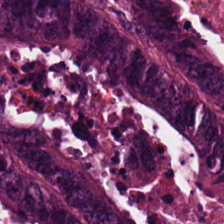Stain: H&E stain.
Resolution: 0.5 µm/px.
Tissue type: tumor epithelium.
